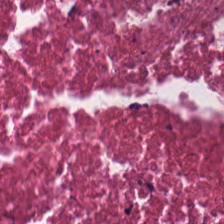H&E.
{"tissue_type": "necrotic debris"}
